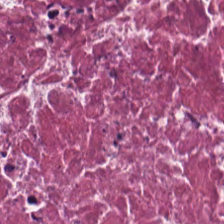224×224 pixel tile. H&E-stained tissue section. Q: Identify the tissue.
A: The field shows necrotic debris.
